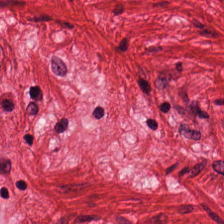H&E. This field is smooth muscle.
